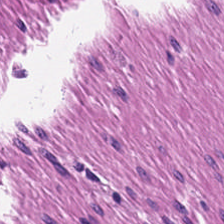20× equivalent magnification · FFPE · H&E. Q: What tissue is shown?
A: It is smooth-muscle tissue.
